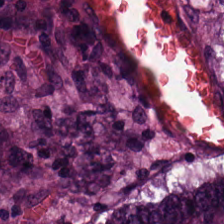224×224 px patch; H&E-stained tissue section. Tissue type = colorectal adenocarcinoma epithelium.
